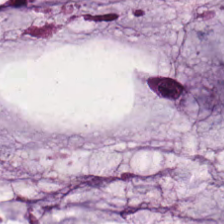FFPE · hematoxylin-and-eosin stained section. Predominantly mucus.
